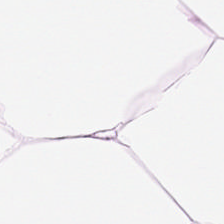0.5 µm/px; hematoxylin-and-eosin stained section. {"tissue_type": "fat tissue"}
